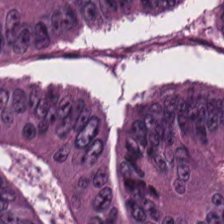Hematoxylin-and-eosin stained section. Brightfield microscopy. The tissue here is tumor epithelium.
